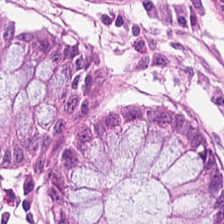H&E-stained tissue section.
Finding → normal colonic mucosa.
